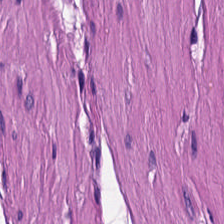Stain: H&E.
Tissue: muscularis.
